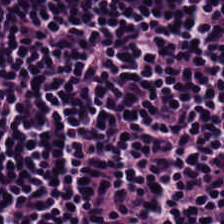Hematoxylin-and-eosin stained section.
Tissue class — lymphocyte aggregate.
